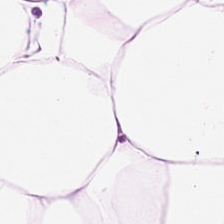H&E.
The classification is adipose.
